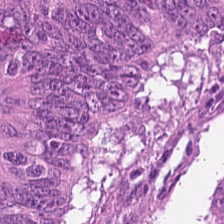H&E-stained section; the field shows colorectal adenocarcinoma.
